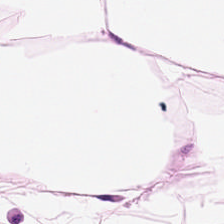H&E stain · WSI patch. Classification — adipocytes.
